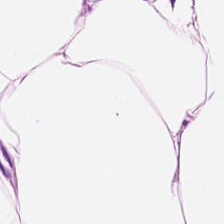{"tissue_type": "adipose tissue"}
